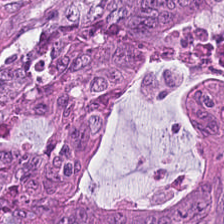224×224 pixel tile. Brightfield microscopy. Hematoxylin and eosin — The predominant tissue is malignant epithelium.
